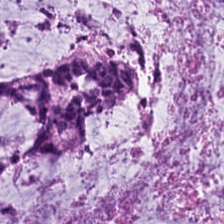H&E-stained tissue section · FFPE tissue section.
The predominant tissue is extracellular mucin.
